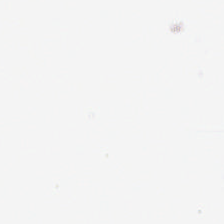Classification: background.
